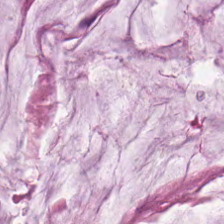Hematoxylin-and-eosin stained section. Classification: extracellular mucin.
